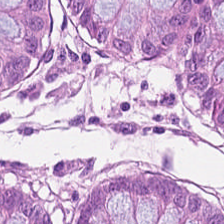H&E stain · 0.5 microns per pixel.
Predominantly non-neoplastic colon mucosa.
